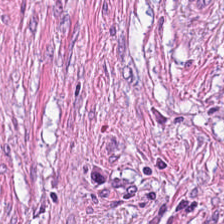Hematoxylin and eosin; 224×224 px tile. The classification is tumor-associated stroma.
